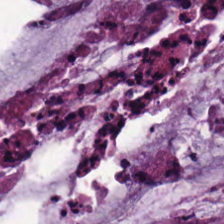Stain: H&E stain.
Tissue: mucin.
